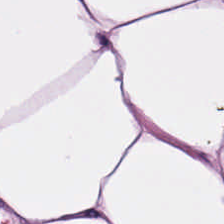H&E-stained tissue section.
Predominant tissue — adipocytes.
